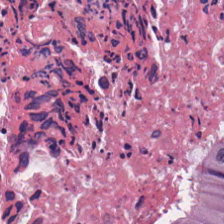Hematoxylin-and-eosin stained section — Impression → cellular debris.
